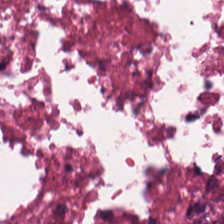H&E · 224×224 pixel tile.
Tissue class: debris.
